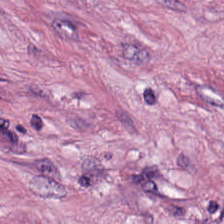H&E · WSI patch. This field is tumor stroma.
